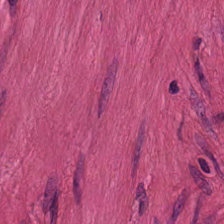Hematoxylin and eosin — Tissue class = muscularis.
